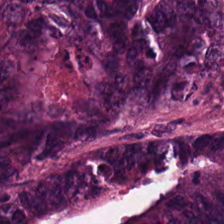H&E stain — Classification: malignant epithelium.
